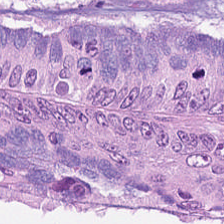H&E-stained section; the field shows adenocarcinoma.
